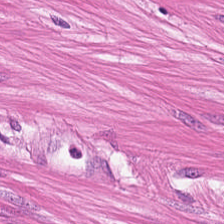Hematoxylin-and-eosin stained section — This field is smooth muscle.
